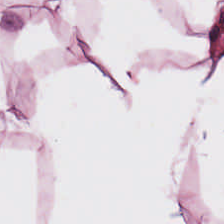H&E. Finding → fat tissue.
